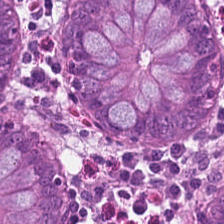H&E — benign colonic mucosa.
